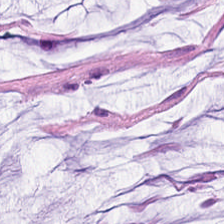Hematoxylin and eosin.
The tissue here is mucus.
